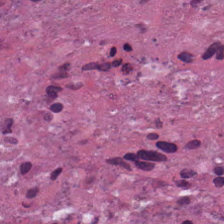0.5 µm per pixel; formalin-fixed paraffin-embedded section; hematoxylin-and-eosin stained section — Q: What type of tissue is this?
A: Necrotic debris.
